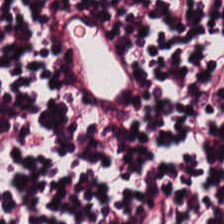H&E. Histology — lymphocyte aggregate.
